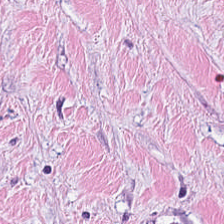Tissue: tumor-associated stroma.
